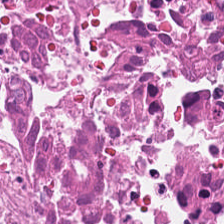Hematoxylin-and-eosin stained section — Tissue type — debris.
